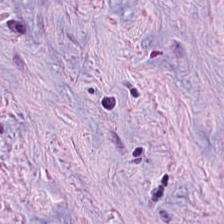WSI patch. Hematoxylin and eosin — Tissue type = tumor-associated stroma.
